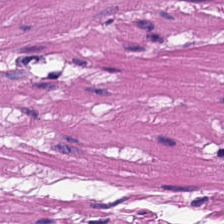Stain: H&E stain.
Tile size: 224×224 px tile.
Classification: smooth-muscle tissue.
